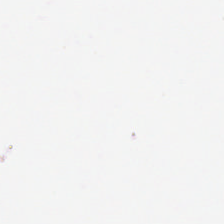Classification: no tissue.
